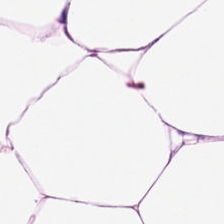Q: What tissue is shown?
A: The field shows adipose.
